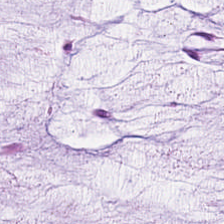Hematoxylin-and-eosin stained section. Q: What is the predominant tissue type?
A: It is mucin.
